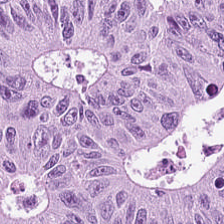Stain: H&E.
Acquisition: whole-slide-image patch.
Tissue class: tumor epithelium.
